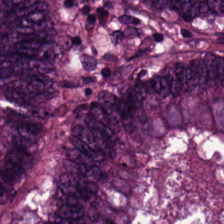H&E. Q: What is the predominant tissue type?
A: This is malignant epithelium.
